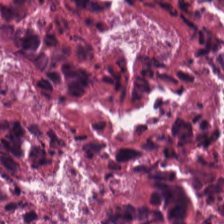Q: What type of tissue is this?
A: The field shows debris.
